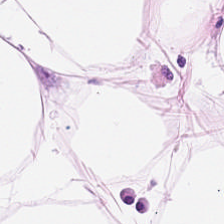Hematoxylin-and-eosin stained section — Tissue class — adipose tissue.
